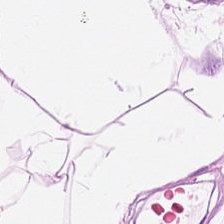This patch shows adipose.
